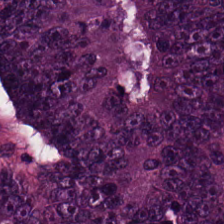Hematoxylin-and-eosin stained section. This patch shows adenocarcinoma.
